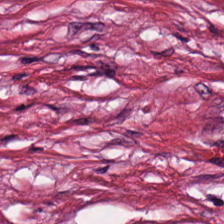Hematoxylin and eosin. Tissue — cancer-associated stroma.
